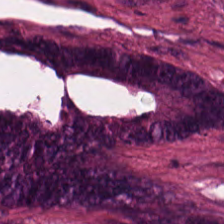H&E patch showing tumor epithelium.
